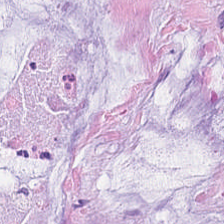Stain: hematoxylin and eosin.
Tissue: extracellular mucin.
